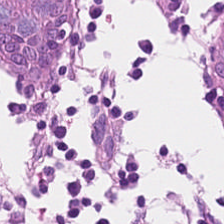Brightfield microscopy. H&E. 0.5 µm/px.
{"tissue_type": "non-neoplastic colon mucosa"}
